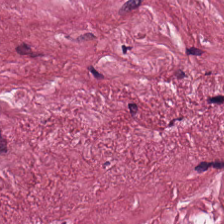Tumor stroma.
